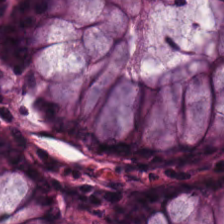Hematoxylin-and-eosin stained section.
The tissue here is non-neoplastic colon mucosa.
